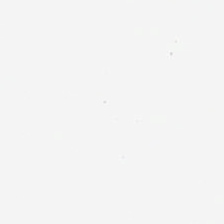Q: Classify this patch.
A: Background (no tissue).
